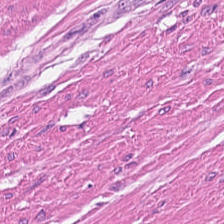Histology → smooth-muscle tissue.
